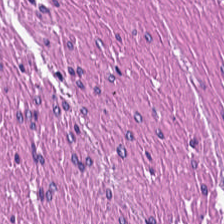H&E stain — Smooth muscle.
